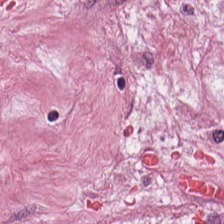Hematoxylin and eosin. Desmoplastic stroma.
